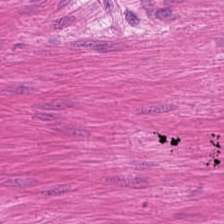Hematoxylin-and-eosin stained section.
Q: What type of tissue is this?
A: This is muscularis.
